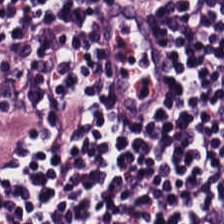Hematoxylin and eosin.
Finding — lymphocyte aggregate.
